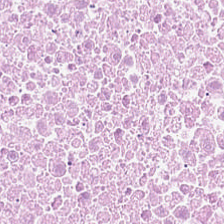WSI patch · H&E stain.
Debris.
